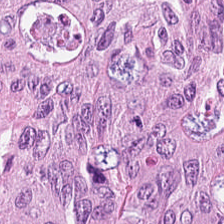Hematoxylin-and-eosin stained section; 224×224 pixel tile — Impression — malignant epithelium.
